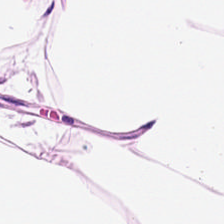224×224 px tile; 0.5 microns per pixel; H&E.
The predominant tissue is adipocytes.
